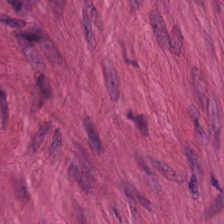H&E stain. Smooth-muscle tissue.
